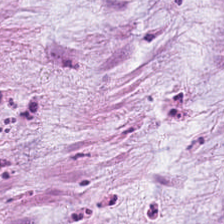H&E-stained tissue section. 224×224 px patch. Histology → extracellular mucin.
